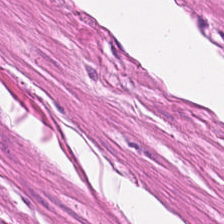H&E-stained tissue section. 0.5 microns per pixel.
Impression → smooth-muscle tissue.
